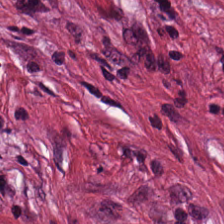H&E. 0.5 µm/px — Histology — tumor stroma.
